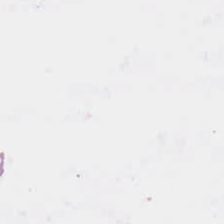FFPE tissue section. Hematoxylin-and-eosin stained section. Classification: empty background.
